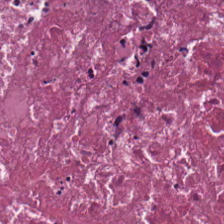Stain: H&E stain.
Tile size: 224×224 px patch.
Predominant tissue: cellular debris.
